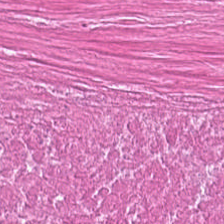This field is cellular debris.
